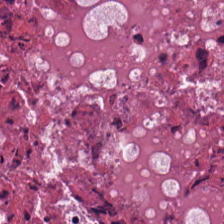Stain: hematoxylin-and-eosin stained section.
Preparation: formalin-fixed paraffin-embedded section.
Tissue: debris.
